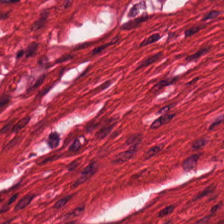H&E stain; formalin-fixed paraffin-embedded section.
Predominantly smooth muscle.
